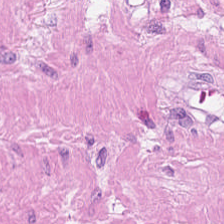Smooth-muscle tissue.
